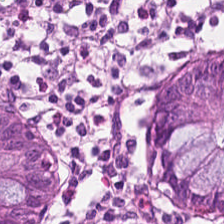Hematoxylin and eosin. This field is normal colonic mucosa.
